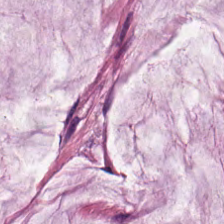Hematoxylin-and-eosin stained section. FFPE tissue section. The tissue here is mucus.
